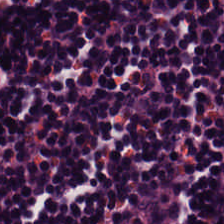H&E-stained tissue section. {"tissue_type": "lymphoid infiltrate"}
